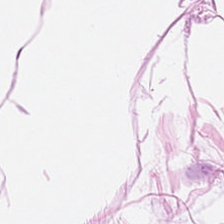H&E-stained tissue section. The tissue here is adipocytes.
